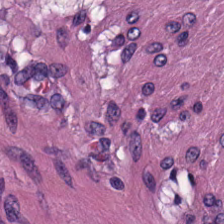Hematoxylin-and-eosin stained section. Q: What is the predominant tissue type?
A: The field shows smooth muscle.
